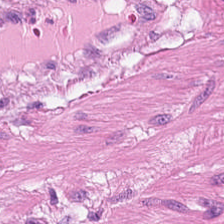Hematoxylin-and-eosin stained section — Tissue class = muscularis.
